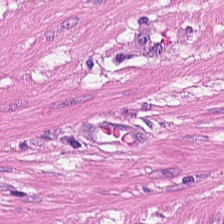H&E-stained tissue section. Predominant tissue: smooth muscle.
